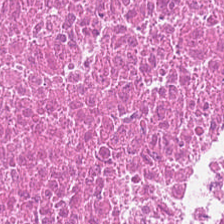WSI patch. Hematoxylin and eosin. Predominantly debris.
